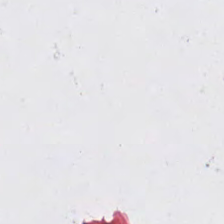Hematoxylin-and-eosin stained section.
No tissue present; background only.
